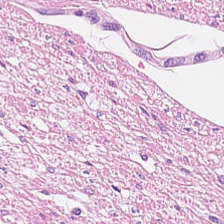Hematoxylin and eosin · FFPE tissue section — Tissue type: smooth-muscle tissue.
